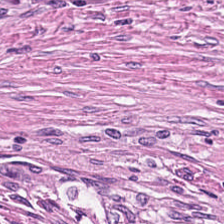H&E-stained tissue section.
The tissue here is tumor stroma.
